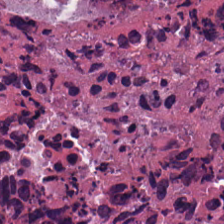Hematoxylin-and-eosin stained section · brightfield microscopy — Q: What is shown in this field?
A: This is debris.
